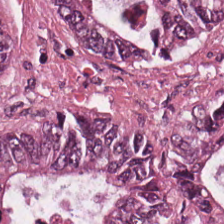0.5 µm/px; hematoxylin-and-eosin stained section; WSI patch.
This field is colorectal adenocarcinoma.
